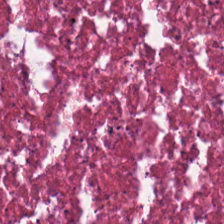Hematoxylin-and-eosin stained section — Predominantly necrotic debris.
